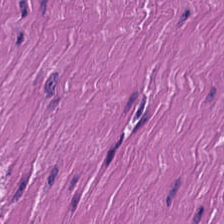Brightfield; hematoxylin-and-eosin stained section; FFPE tissue section.
This patch shows smooth-muscle tissue.
